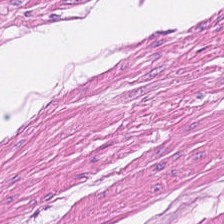Smooth muscle.
